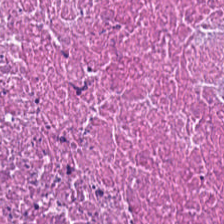H&E stain; 224×224 pixel tile; FFPE tissue section.
The tissue here is necrotic debris.
